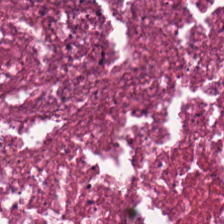H&E · WSI patch.
The classification is cellular debris.
